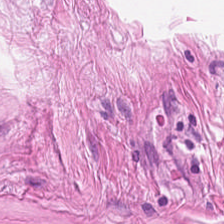Q: What is the predominant tissue type?
A: The field shows muscularis.
